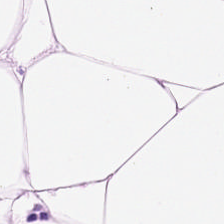H&E-stained tissue section.
Showing adipocytes.
